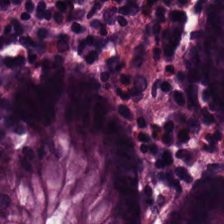Tissue type = normal colon mucosa.
